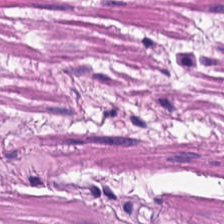Hematoxylin-and-eosin stained section. 224×224 pixel tile. The classification is smooth-muscle tissue.
